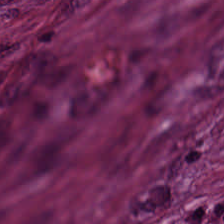Brightfield. 0.5 µm per pixel. H&E-stained tissue section. Q: What type of tissue is this?
A: It is cancer-associated stroma.
